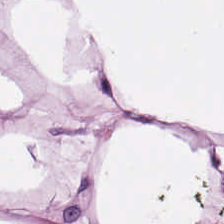Hematoxylin-and-eosin stained section — Predominantly adipocytes.
